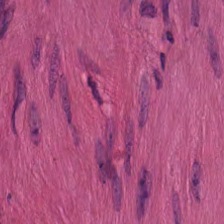Stain: hematoxylin-and-eosin stained section.
Tissue type: smooth muscle.
